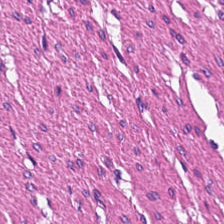H&E — Tissue class — muscularis.
